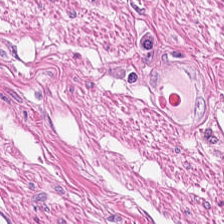H&E-stained tissue section — Muscularis.
